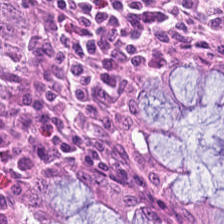Hematoxylin and eosin. FFPE. WSI patch.
Q: What is shown in this field?
A: It is normal colonic mucosa.
